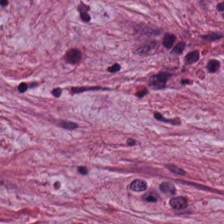Hematoxylin-and-eosin stained section; FFPE.
Showing cancer-associated stroma.
